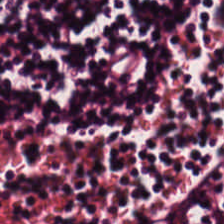Hematoxylin-and-eosin stained section.
The tissue here is lymphocytic infiltrate.
